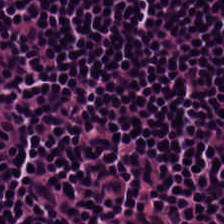Hematoxylin-and-eosin stained section.
Predominantly lymphocyte aggregate.
